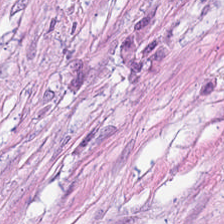H&E-stained tissue section. Impression — tumor-associated stroma.
